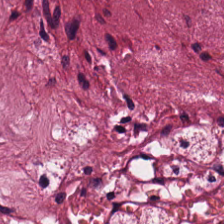H&E — Finding → cancer-associated stroma.
